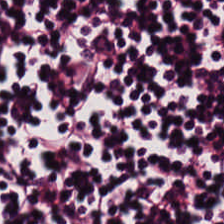Stain: hematoxylin-and-eosin stained section.
Tissue: lymphocytic infiltrate.
